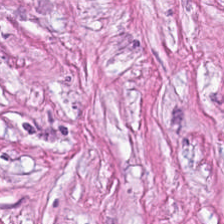The classification is tumor-associated stroma.
